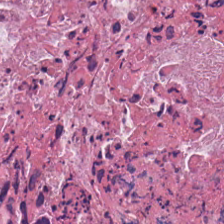Tissue type: necrotic debris.
